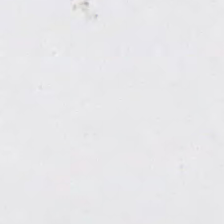Finding → background.
